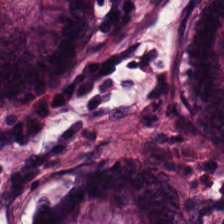Hematoxylin-and-eosin stained section. Formalin-fixed paraffin-embedded section.
The tissue here is benign colonic mucosa.
